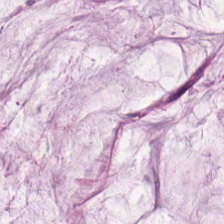20× equivalent magnification. 224×224 px tile. Hematoxylin-and-eosin stained section — The tissue class is mucin.
